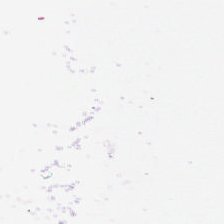Q: Classify this patch.
A: Background (no tissue).
